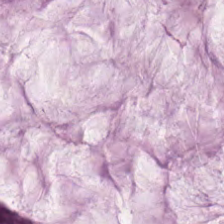224×224 px tile · H&E-stained tissue section · 20× equivalent magnification. {"tissue_type": "mucus"}
